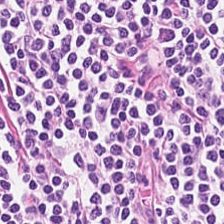H&E-stained tissue section.
Tissue — lymphocytes.
